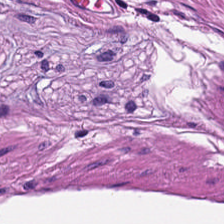H&E.
Histology — muscularis.
